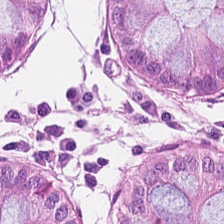This field is non-neoplastic colon mucosa.
